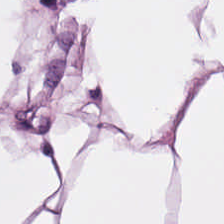0.5 µm/px. H&E stain — Predominant tissue — fat tissue.
